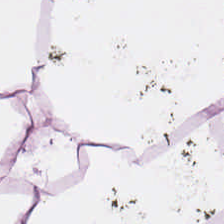Stain: hematoxylin and eosin.
Tissue type: fat tissue.
